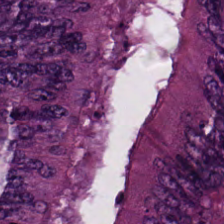H&E stain · FFPE.
Tissue: adenocarcinoma.
